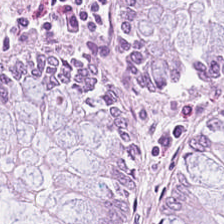Brightfield; hematoxylin and eosin. Q: What type of tissue is this?
A: Normal colonic mucosa.
